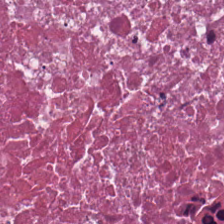Hematoxylin and eosin. The predominant tissue is cellular debris.
